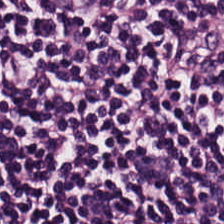Hematoxylin-and-eosin stained section.
The predominant tissue is lymphocytic infiltrate.
